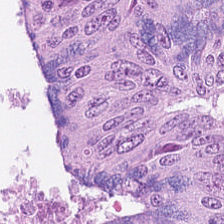Finding → colorectal adenocarcinoma epithelium.
